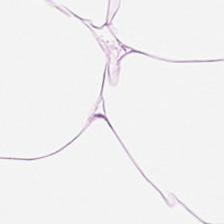H&E. {"tissue_type": "adipose tissue"}
